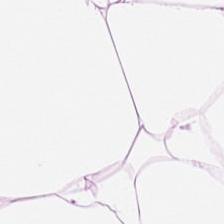H&E — The tissue class is adipose tissue.
